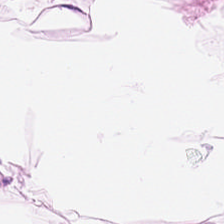H&E-stained tissue section.
This patch shows adipocytes.
